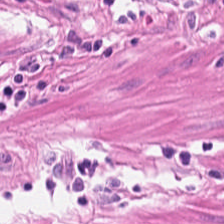Q: Classify this patch.
A: This is muscularis.
